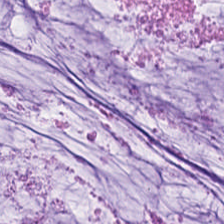H&E stain.
Mucin.
